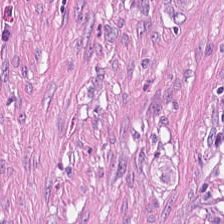Brightfield · hematoxylin-and-eosin stained section. The tissue here is tumor stroma.
